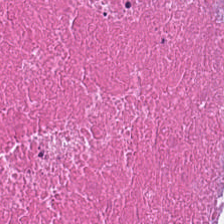H&E-stained tissue section showing cellular debris.
